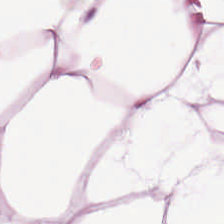Stain: hematoxylin-and-eosin stained section.
Predominant tissue: adipocytes.
